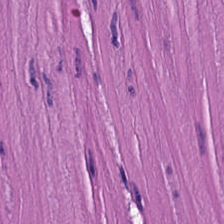Hematoxylin-and-eosin stained section — This field is smooth-muscle tissue.
